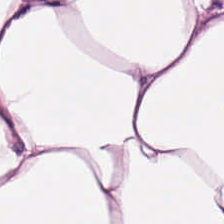H&E stain. Q: Identify the tissue.
A: It is adipose tissue.
